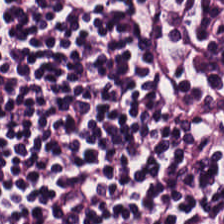Stain: hematoxylin-and-eosin stained section.
Classification: lymphocyte aggregate.
